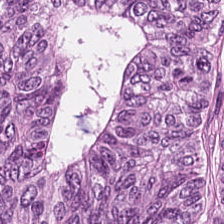H&E · 224×224 pixel tile. Predominantly adenocarcinoma.
